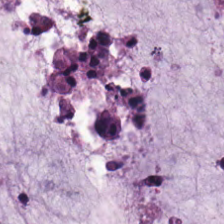Stain: H&E.
Tissue class: mucus.
